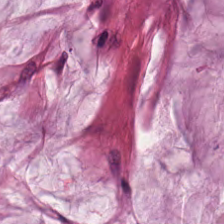Tissue — mucin.
